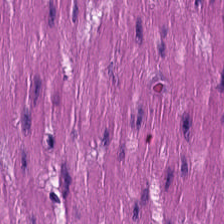Predominant tissue = muscularis.
